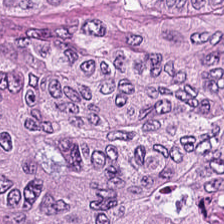H&E · FFPE. Showing malignant epithelium.
